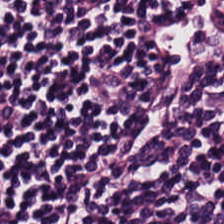{"tissue_type": "lymphocytic infiltrate"}
